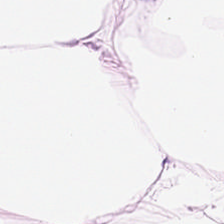H&E stain. Predominantly adipose tissue.
